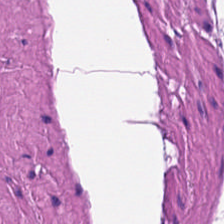Hematoxylin-and-eosin stained section — The tissue type is muscularis.
